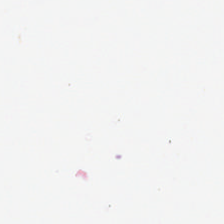20× equivalent magnification · H&E — Field content = background.
